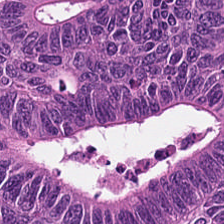This field is malignant epithelium.
